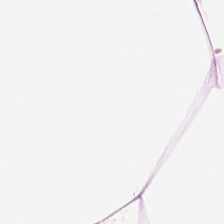Formalin-fixed paraffin-embedded section · 0.5 µm per pixel · hematoxylin and eosin — Adipose.
